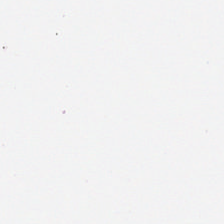H&E — Field content — empty background.
